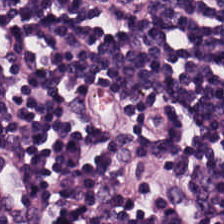0.5 µm/px · hematoxylin and eosin · brightfield microscopy. {"tissue_type": "lymphocyte aggregate"}
